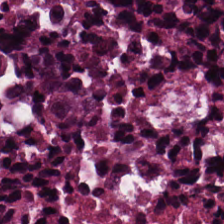Formalin-fixed paraffin-embedded section; H&E stain.
Histology — debris.
